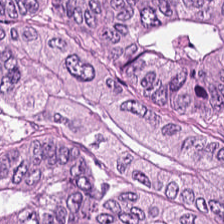This field is malignant epithelium.
